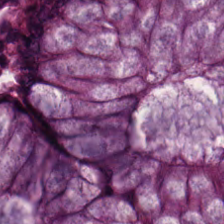Stain: H&E stain.
Classification: normal colonic mucosa.
